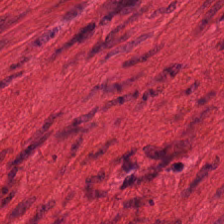224×224 px tile. H&E stain.
Q: What is the predominant tissue type?
A: Smooth muscle.
